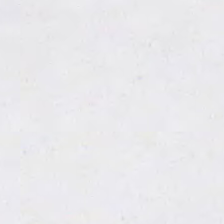H&E-stained tissue section — {"content": "background"}
